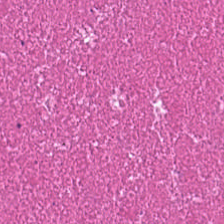H&E-stained tissue section. This patch shows necrotic debris.
